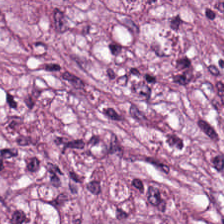20× equivalent magnification. H&E-stained tissue section. Showing cancer-associated stroma.
